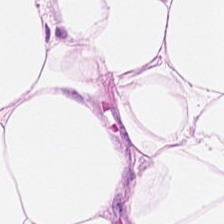Hematoxylin-and-eosin stained section.
Q: What tissue is shown?
A: The field shows adipose.
